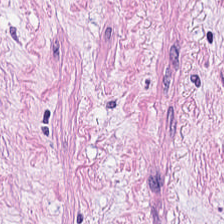Hematoxylin-and-eosin stained section — Impression → cancer-associated stroma.
